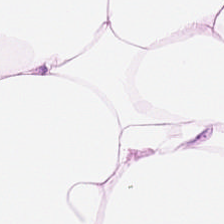H&E-stained tissue section.
Histology → adipose.
